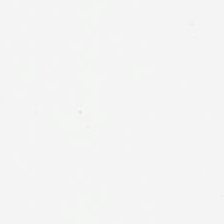H&E stain.
Background — no tissue in this field.
